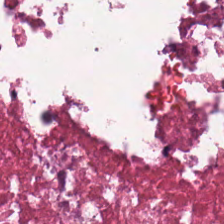Brightfield microscopy · 224×224 px tile · H&E-stained tissue section. Predominantly necrotic debris.
